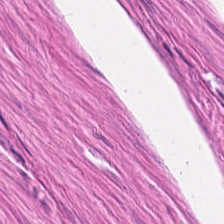Q: What is shown here?
A: The field shows muscularis.
